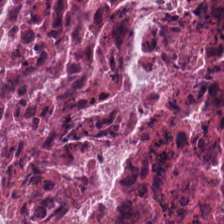Whole-slide-image patch · hematoxylin and eosin — Finding — necrotic debris.
